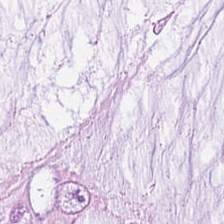Stain: H&E stain.
Resolution: 0.5 microns per pixel.
Acquisition: whole-slide-image patch.
Tissue type: mucus.
